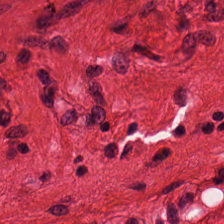Stain: hematoxylin-and-eosin stained section.
Tissue: smooth muscle.
